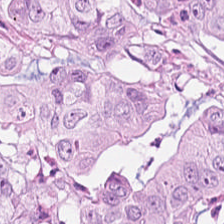0.5 µm/px. Hematoxylin-and-eosin stained section. Whole-slide-image patch.
This field is malignant epithelium.
